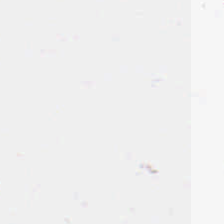H&E-stained tissue section — Field content — empty background.
